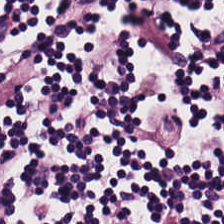Hematoxylin and eosin.
The predominant tissue is lymphoid infiltrate.
